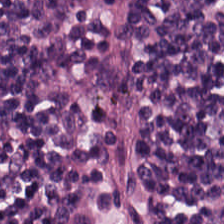Whole-slide-image patch; H&E. Finding — lymphocytic infiltrate.
